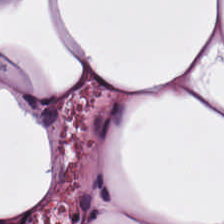Stain: H&E stain.
Preparation: FFPE.
Tissue type: adipose tissue.
